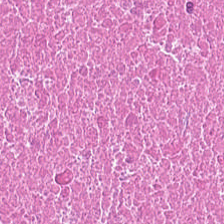H&E. 0.5 µm per pixel — Showing cellular debris.
